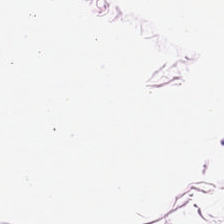H&E-stained tissue section.
Tissue type = adipose.
